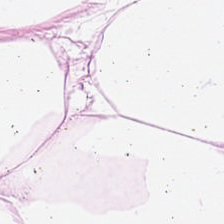Brightfield microscopy · hematoxylin and eosin.
This patch shows adipose.
